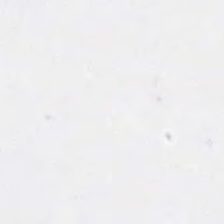H&E stain — Empty field — empty background.
